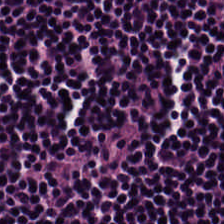Hematoxylin and eosin. 0.5 µm per pixel — Q: What tissue is shown?
A: The field shows lymphocytic infiltrate.
